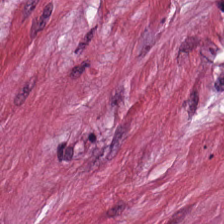Histology — cancer-associated stroma.
